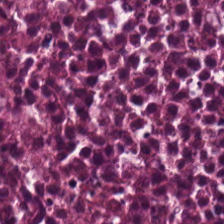Hematoxylin-and-eosin stained section — Showing debris.
